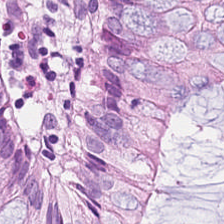Impression — non-neoplastic colon mucosa.
